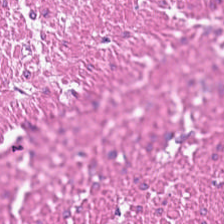Hematoxylin and eosin. This patch shows smooth-muscle tissue.
